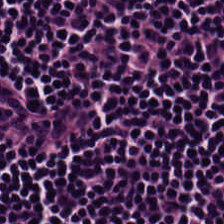Hematoxylin and eosin.
{"tissue_type": "lymphocytes"}
